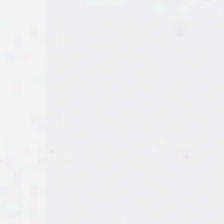Classification = empty background.
